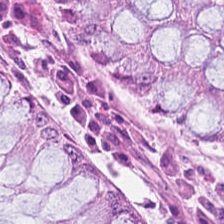Hematoxylin and eosin — Tissue class — normal colon mucosa.
